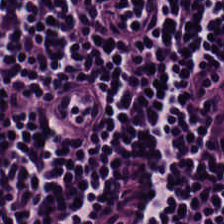Stain: H&E stain.
Classification: lymphocyte aggregate.
